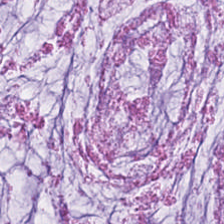H&E. Classification: mucus.
